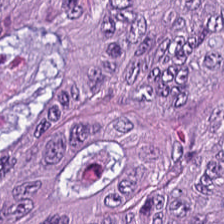Stain: H&E stain.
Tissue class: tumor epithelium.
